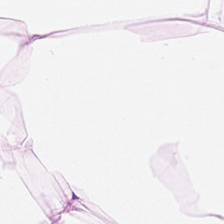H&E stain.
This field is adipose.
